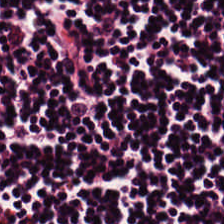Stain: hematoxylin and eosin.
Resolution: 0.5 microns per pixel.
Tissue type: lymphoid infiltrate.
